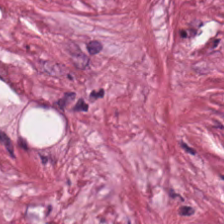Brightfield; hematoxylin and eosin. {"tissue_type": "tumor stroma"}
